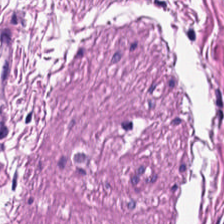The tissue here is smooth muscle.
